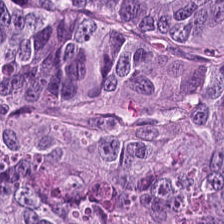Q: What is shown in this field?
A: It is tumor epithelium.
